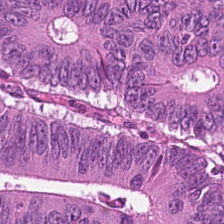H&E stain — Tissue — colorectal adenocarcinoma epithelium.
